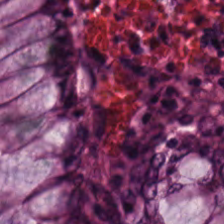Whole-slide-image patch. Hematoxylin and eosin.
Predominantly normal colonic mucosa.
